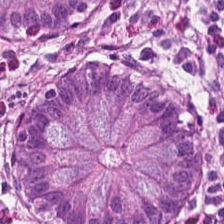Stain: hematoxylin-and-eosin stained section.
Acquisition: brightfield.
Tissue: benign colonic mucosa.
